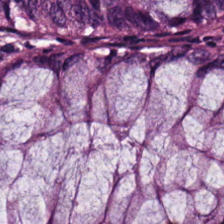H&E-stained tissue section — Tissue class — benign colonic mucosa.
